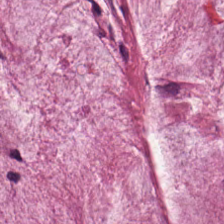Hematoxylin and eosin. The predominant tissue is extracellular mucin.
